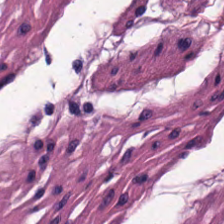Hematoxylin-and-eosin stained section · brightfield — This field is smooth-muscle tissue.
